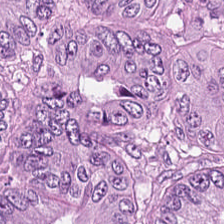H&E-stained tissue section — Predominantly malignant epithelium.
